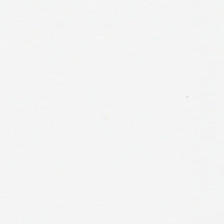H&E-stained tissue section · formalin-fixed paraffin-embedded section — Content: background.
